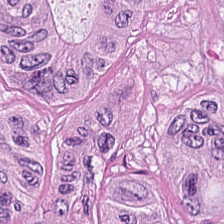H&E-stained section; the field shows colorectal adenocarcinoma.
